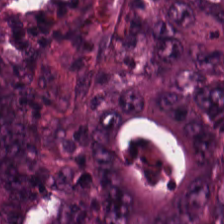Formalin-fixed paraffin-embedded section. H&E stain.
Q: What tissue type is shown here?
A: Colorectal adenocarcinoma epithelium.
